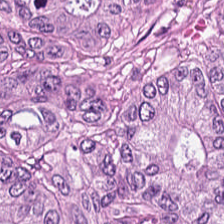Stain: hematoxylin and eosin.
Predominant tissue: colorectal adenocarcinoma.
